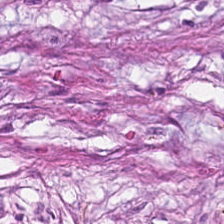FFPE tissue section · H&E-stained tissue section.
Finding — tumor-associated stroma.
